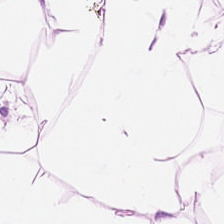Formalin-fixed paraffin-embedded section · hematoxylin-and-eosin stained section · 224×224 pixel tile. Q: What is the predominant tissue type?
A: It is adipose tissue.
